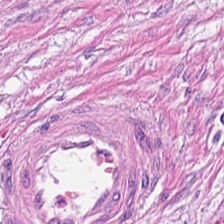WSI patch; hematoxylin-and-eosin stained section — Tissue: tumor-associated stroma.
